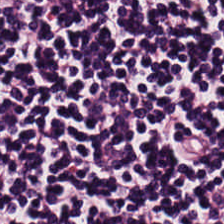224×224 px patch · formalin-fixed paraffin-embedded section · H&E-stained tissue section. Impression → lymphocytes.
